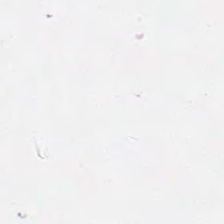224×224 px patch · hematoxylin and eosin · FFPE tissue section — Content: no tissue.
